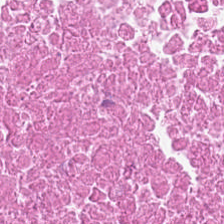H&E-stained tissue section · 224×224 px patch. Predominant tissue — debris.
